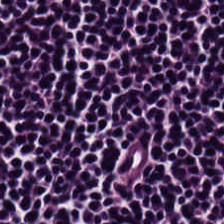H&E-stained tissue section; 224×224 px tile. The tissue here is lymphocyte aggregate.
